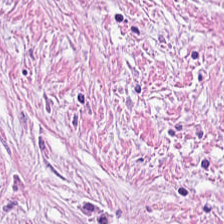Hematoxylin and eosin. 20× equivalent magnification.
Tumor-associated stroma.
